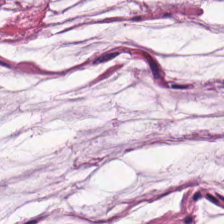Hematoxylin and eosin.
Histology → extracellular mucin.
